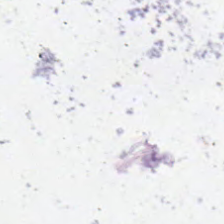H&E. Impression → background.
